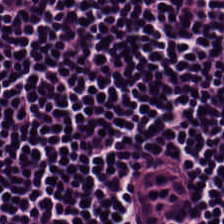H&E-stained tissue section. This field is lymphocytic infiltrate.
